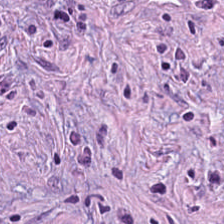H&E-stained tissue section; formalin-fixed paraffin-embedded section. Showing desmoplastic stroma.
